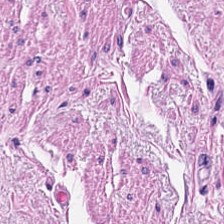H&E-stained tissue section — Muscularis.
